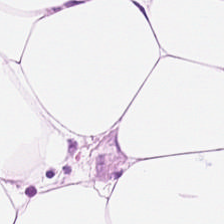H&E stain — Q: What is shown here?
A: The field shows adipocytes.
